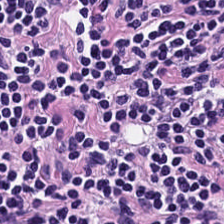H&E-stained section; the field shows lymphoid infiltrate.
